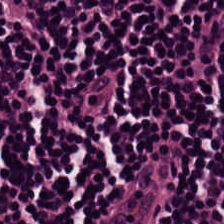Q: What tissue type is shown here?
A: It is lymphocytes.
